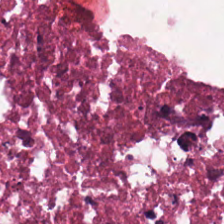Stain: hematoxylin-and-eosin stained section.
Tissue: debris.
